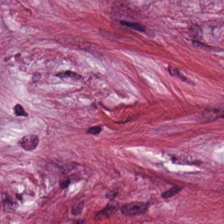H&E stain. FFPE tissue section — The predominant tissue is cancer-associated stroma.
